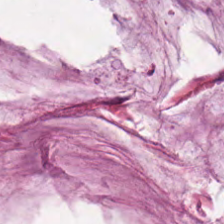Stain: hematoxylin-and-eosin stained section.
Tissue class: mucin.
